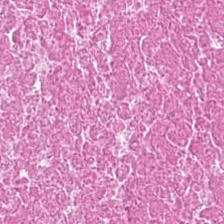The classification is necrotic debris.
